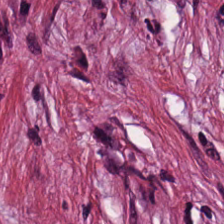224×224 pixel tile · H&E stain — Finding → tumor stroma.
